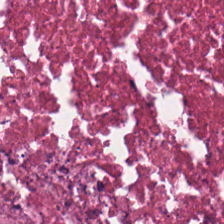Q: What is shown in this field?
A: The field shows debris.
